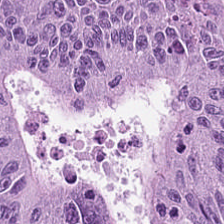Hematoxylin-and-eosin stained section.
Tissue type = malignant epithelium.
